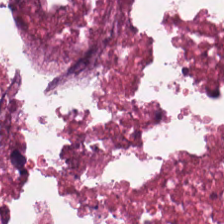H&E-stained tissue section — Impression → debris.
